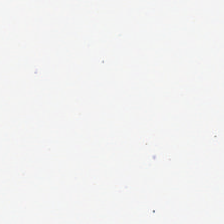Hematoxylin-and-eosin stained section.
This patch shows background.
